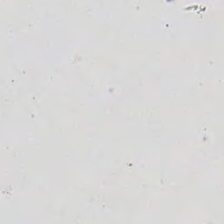WSI patch. H&E stain.
The content is no tissue.
